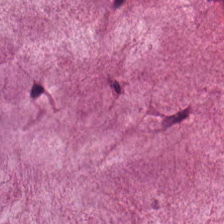This patch shows mucus.
